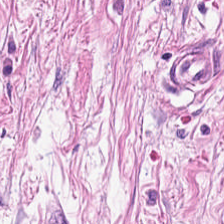FFPE. H&E-stained tissue section. Predominantly tumor-associated stroma.
